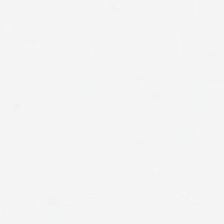Hematoxylin and eosin.
The field content is background (no tissue).
